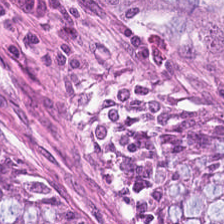H&E-stained tissue section · whole-slide-image patch · 224×224 pixel tile. This patch shows normal colonic mucosa.
